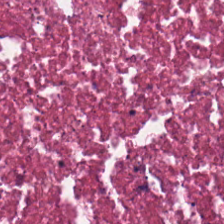H&E. Q: What is shown here?
A: The field shows necrotic debris.
